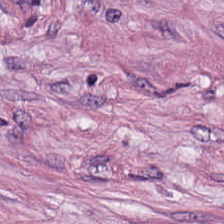224×224 px patch · hematoxylin and eosin.
The tissue here is tumor stroma.
